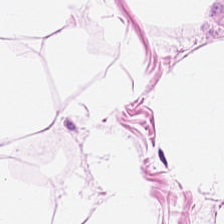H&E stain.
Finding — adipose.
